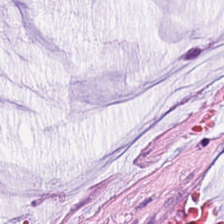H&E stain. Predominant tissue = mucus.
